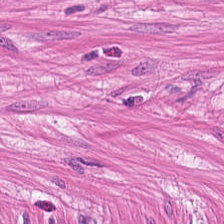Finding — smooth-muscle tissue.
